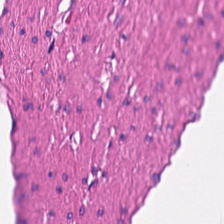Hematoxylin-and-eosin stained section — Predominantly smooth-muscle tissue.
